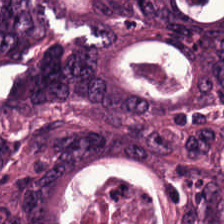Tissue type: colorectal adenocarcinoma.
